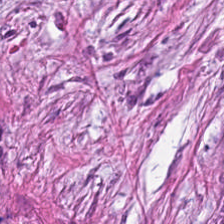Hematoxylin-and-eosin stained section.
Tissue type — tumor-associated stroma.
